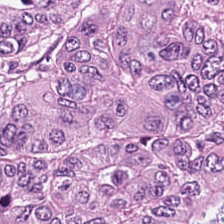Stain: H&E stain.
Tissue class: adenocarcinoma.
